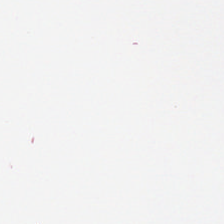This patch shows no tissue.
